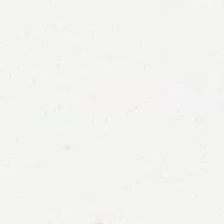Hematoxylin and eosin. This patch shows background.
